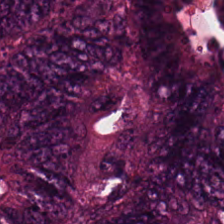Formalin-fixed paraffin-embedded section; H&E-stained tissue section.
This patch shows malignant epithelium.
